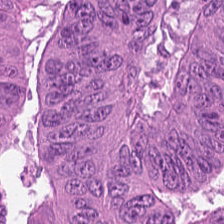Stain: H&E.
Classification: malignant epithelium.
